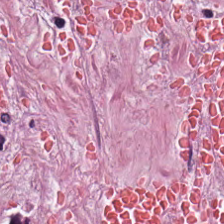H&E stain.
Q: What type of tissue is this?
A: This is desmoplastic stroma.
